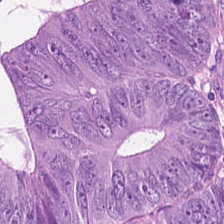H&E · whole-slide-image patch · FFPE — Tissue type = colorectal adenocarcinoma.
